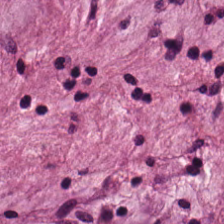Formalin-fixed paraffin-embedded section; hematoxylin and eosin. Mucin.
